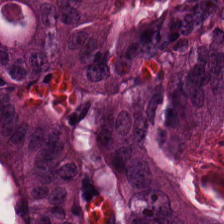20× equivalent magnification · 224×224 px tile · hematoxylin and eosin.
Impression — colorectal adenocarcinoma epithelium.
